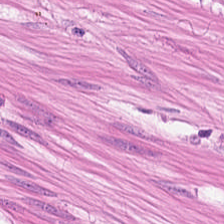0.5 µm/px. H&E. WSI patch. Impression → smooth-muscle tissue.
